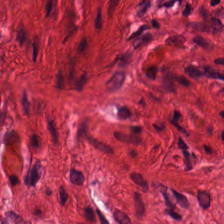Histology → muscularis.
